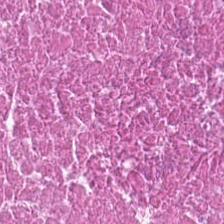Stain: H&E.
Predominant tissue: cellular debris.
